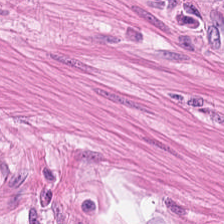224×224 px patch · FFPE · hematoxylin-and-eosin stained section — Q: What tissue type is shown here?
A: The field shows muscularis.
